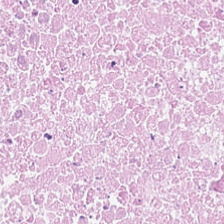H&E-stained tissue section; 0.5 microns per pixel; brightfield microscopy.
Impression → necrotic debris.
